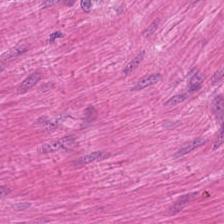H&E-stained tissue section. Impression — muscularis.
